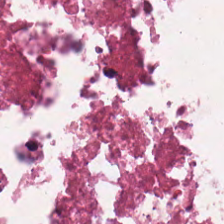H&E-stained tissue section · WSI patch · 20× equivalent magnification. Tissue class = debris.
